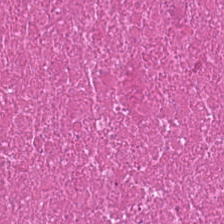H&E-stained section; the field shows cellular debris.
